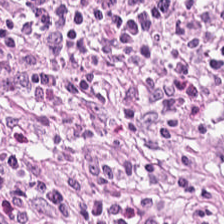Whole-slide-image patch · H&E-stained tissue section. This patch shows cancer-associated stroma.
